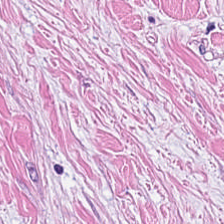H&E stain. Histology — tumor-associated stroma.
